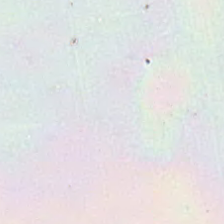Q: Classify this patch.
A: It is background (no tissue).
